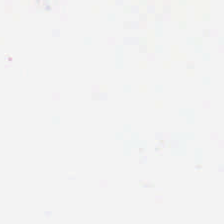H&E-stained tissue section. Q: Classify this patch.
A: The field shows empty background.
